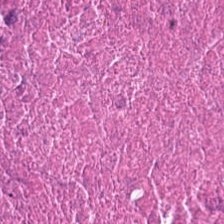The predominant tissue is cellular debris.
